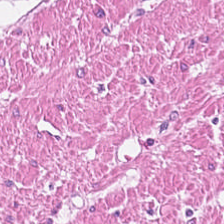Stain: hematoxylin and eosin.
Tissue class: smooth muscle.
